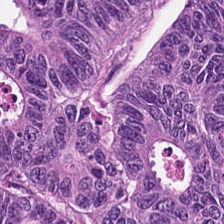H&E stain · 0.5 µm per pixel · 224×224 px patch.
The predominant tissue is colorectal adenocarcinoma epithelium.
